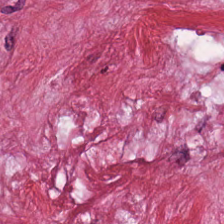H&E-stained tissue section.
The predominant tissue is tumor stroma.
